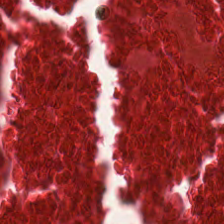0.5 µm/px. H&E-stained tissue section. 224×224 px patch.
This field is necrotic debris.
